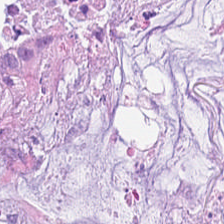H&E-stained tissue section.
Tissue type — extracellular mucin.
